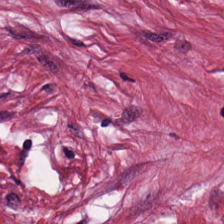The predominant tissue is tumor-associated stroma.
